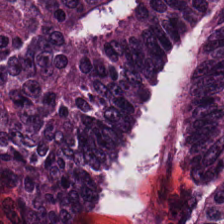H&E-stained tissue section showing tumor epithelium.
